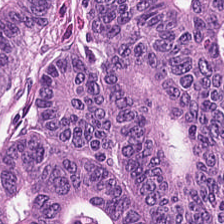H&E stain; 224×224 px patch — Q: What is shown here?
A: The field shows tumor epithelium.
